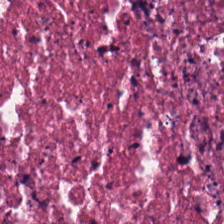Finding → necrotic debris.
